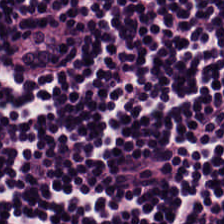The tissue class is lymphoid infiltrate.
